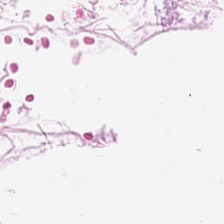Q: Classify this patch.
A: The field shows adipocytes.
